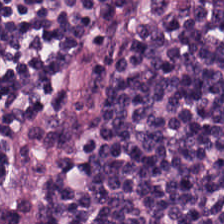Brightfield microscopy; hematoxylin-and-eosin stained section.
The tissue here is lymphoid infiltrate.
